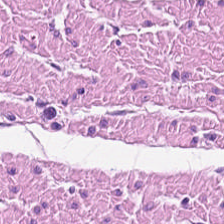224×224 px patch · 20× equivalent magnification · hematoxylin and eosin — Histology — muscularis.
